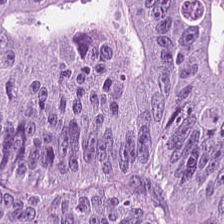20× equivalent magnification; H&E-stained tissue section.
Tumor epithelium.
